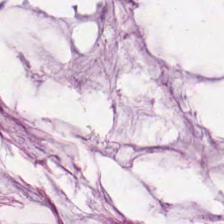FFPE. H&E stain — Classification: mucus.
